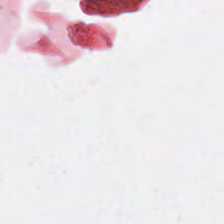FFPE tissue section. H&E-stained tissue section. 0.5 µm per pixel — {"content": "no tissue"}
